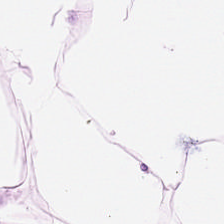H&E patch showing adipose tissue.
